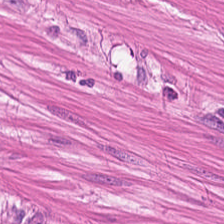H&E-stained tissue section — Predominantly smooth-muscle tissue.
